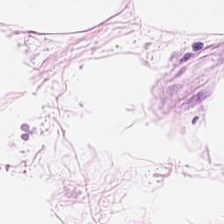This field is fat tissue.
